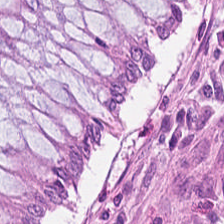H&E.
The classification is normal colonic mucosa.
